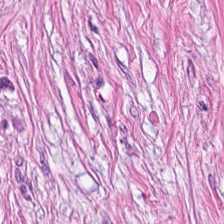224×224 px patch · H&E-stained tissue section. Showing cancer-associated stroma.
